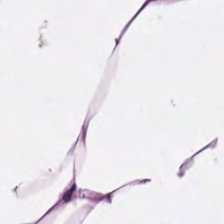Hematoxylin-and-eosin stained section · WSI patch. Q: What is the predominant tissue type?
A: The field shows adipose tissue.
